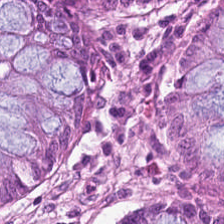H&E stain.
Tissue type — normal colon mucosa.
